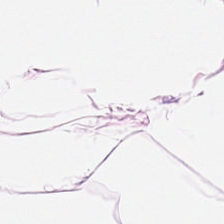Stain: hematoxylin-and-eosin stained section.
Tissue: adipose tissue.
